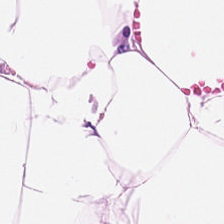Tissue: adipocytes.
